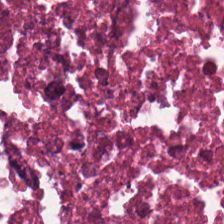Stain: H&E.
Predominant tissue: necrotic debris.
